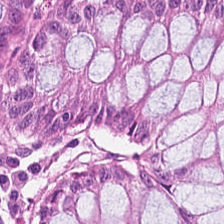Hematoxylin-and-eosin stained section · 224×224 pixel tile.
The tissue is normal colon mucosa.
